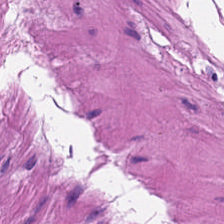Hematoxylin and eosin.
{"tissue_type": "muscularis"}
